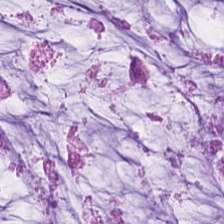Hematoxylin-and-eosin stained section — {"tissue_type": "mucus"}
